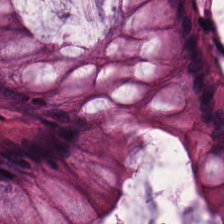224×224 px tile. FFPE. H&E stain.
This patch shows normal colon mucosa.
